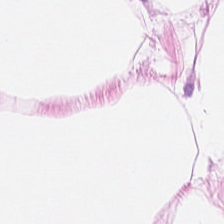H&E-stained tissue section. This field is fat tissue.
